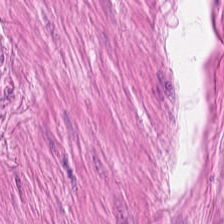H&E-stained tissue section. Classification: muscularis.
